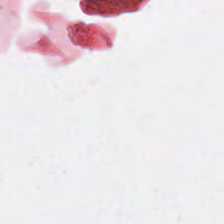H&E-stained tissue section.
Field content: background (no tissue).
